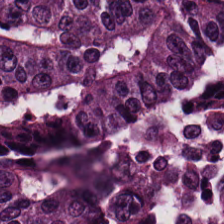Hematoxylin and eosin; WSI patch; 20× equivalent magnification. Finding → tumor epithelium.
